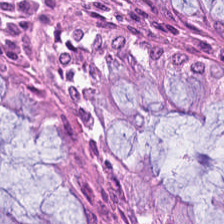0.5 µm per pixel. H&E-stained tissue section. Classification = normal colon mucosa.
